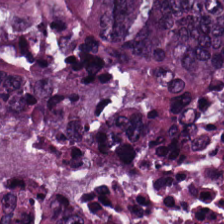Stain: H&E stain.
Resolution: 0.5 microns per pixel.
Tissue class: colorectal adenocarcinoma epithelium.
